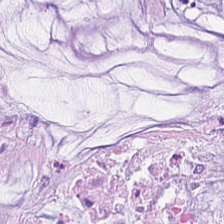H&E — mucus.
